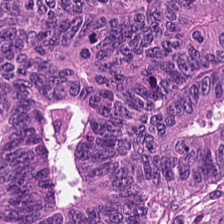224×224 pixel tile; formalin-fixed paraffin-embedded section; H&E stain. Classification: tumor epithelium.
